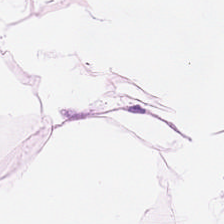H&E-stained tissue section.
Q: Identify the tissue.
A: This is adipocytes.
